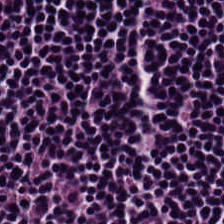This field is lymphocyte aggregate.
